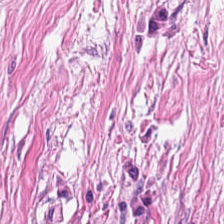{"tissue_type": "tumor stroma"}
